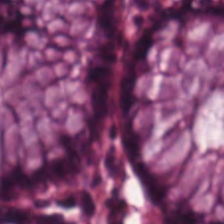Stain: hematoxylin-and-eosin stained section.
Predominant tissue: normal colon mucosa.
